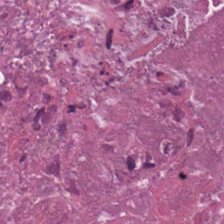Hematoxylin and eosin — Histology — cellular debris.
